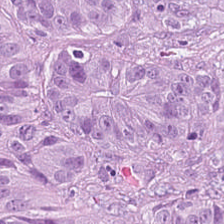H&E stain — Tissue type: tumor epithelium.
